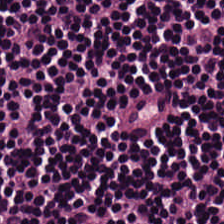Hematoxylin and eosin · FFPE. Q: What tissue is shown?
A: This is lymphocytic infiltrate.
